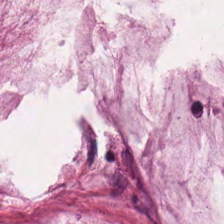Stain: H&E.
Predominant tissue: mucin.
